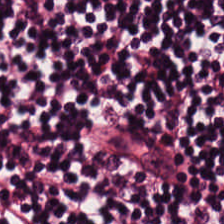H&E stain. 0.5 microns per pixel.
Tissue — lymphocyte aggregate.
